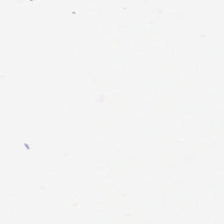Stain: H&E stain.
Field content: no tissue.
